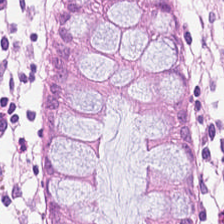Stain: H&E stain.
Tissue type: benign colonic mucosa.
